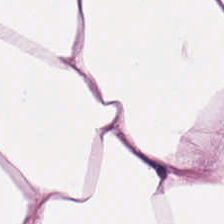H&E.
Q: What is shown in this field?
A: The field shows fat tissue.
